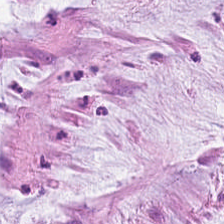H&E stain. This patch shows mucus.
